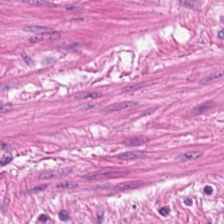Stain: hematoxylin-and-eosin stained section.
Preparation: FFPE.
Tissue: muscularis.
